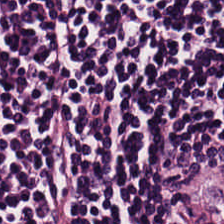224×224 px patch. WSI patch. Hematoxylin-and-eosin stained section — Showing lymphocytes.
